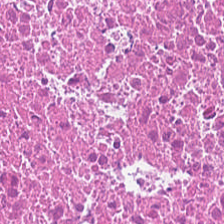H&E stain. Tissue type — necrotic debris.
